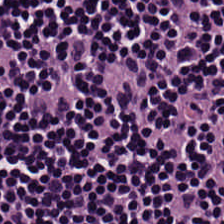H&E stain.
Tissue = lymphoid infiltrate.
